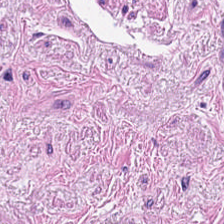Stain: H&E.
Predominant tissue: smooth-muscle tissue.
